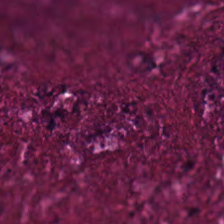Stain: hematoxylin-and-eosin stained section.
Tissue: necrotic debris.
